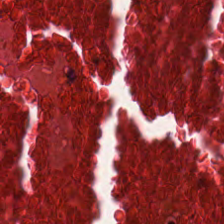0.5 microns per pixel. H&E-stained tissue section.
Finding — necrotic debris.
